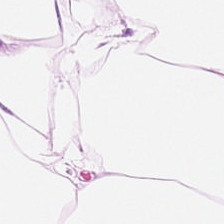Formalin-fixed paraffin-embedded section. Hematoxylin-and-eosin stained section — Q: Classify this patch.
A: It is adipose.
